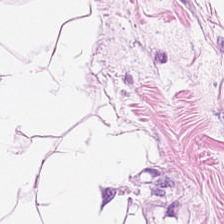Hematoxylin-and-eosin stained section · 224×224 px patch.
This field is adipocytes.
